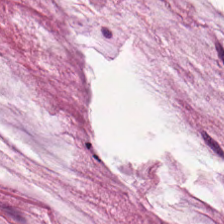Q: What type of tissue is this?
A: Mucin.
